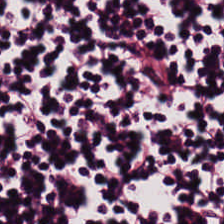Q: What is shown here?
A: It is lymphocyte aggregate.
